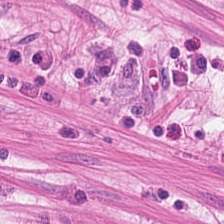0.5 µm/px. Hematoxylin and eosin — Predominantly smooth muscle.
